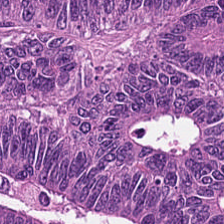Hematoxylin and eosin · 0.5 microns per pixel. Adenocarcinoma.
